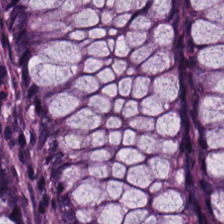Brightfield · 224×224 px patch · hematoxylin and eosin.
Non-neoplastic colon mucosa.
